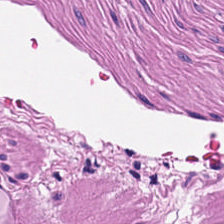H&E.
The tissue here is smooth muscle.
